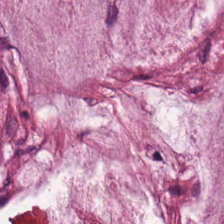Formalin-fixed paraffin-embedded section; H&E stain.
Tissue type = extracellular mucin.
